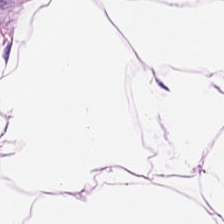0.5 µm/px; hematoxylin-and-eosin stained section — This patch shows adipose tissue.
